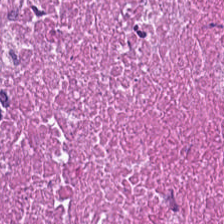H&E-stained tissue section. Showing cellular debris.
